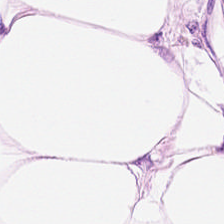Fat tissue.
